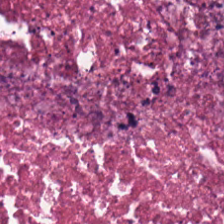Q: Identify the tissue.
A: It is debris.
